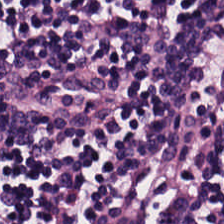0.5 microns per pixel · brightfield microscopy · hematoxylin-and-eosin stained section.
This patch shows lymphocyte aggregate.
